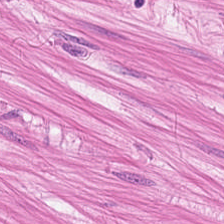H&E; 224×224 px tile; brightfield microscopy.
Tissue — smooth-muscle tissue.
